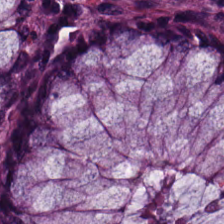Tissue class — benign colonic mucosa.
